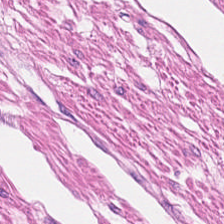H&E stain.
The tissue here is muscularis.
